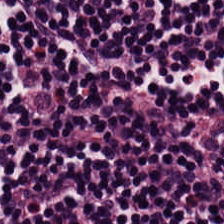H&E stain. Formalin-fixed paraffin-embedded section. Whole-slide-image patch. Tissue class = lymphocyte aggregate.
